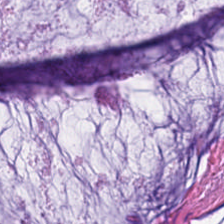The tissue here is mucin.
